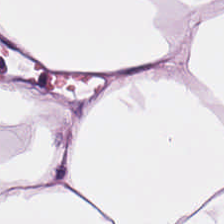This field is fat tissue.
